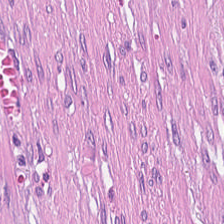This patch shows desmoplastic stroma.
